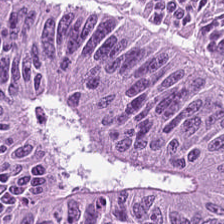Tissue type — adenocarcinoma.
